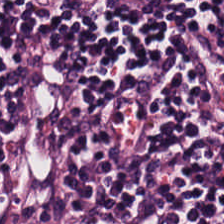Hematoxylin-and-eosin section: lymphocytic infiltrate.
